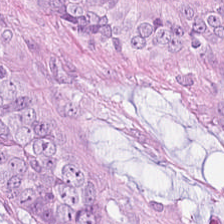224×224 px tile. Hematoxylin-and-eosin stained section — Predominantly tumor epithelium.
